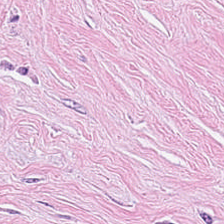Classification — tumor stroma.
